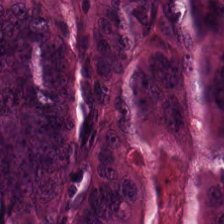H&E stain.
Histology — malignant epithelium.
